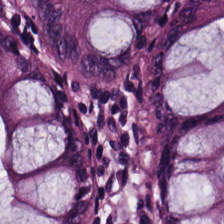Hematoxylin-and-eosin stained section. Q: What type of tissue is this?
A: This is normal colon mucosa.
